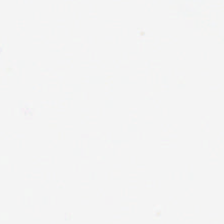H&E stain · 224×224 px tile. This field is background (no tissue).
